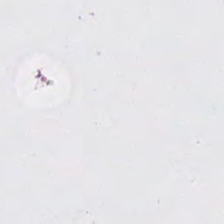Hematoxylin-and-eosin stained section; whole-slide-image patch — Histology — background (no tissue).
